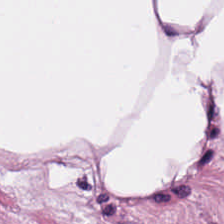H&E. This patch shows fat tissue.
